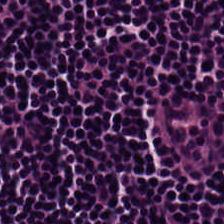The predominant tissue is lymphoid infiltrate.
